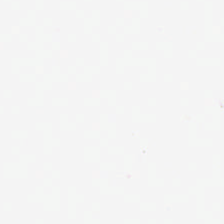WSI patch · 0.5 µm per pixel · H&E.
Empty field — empty background.
